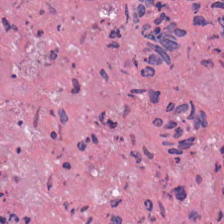Stain: H&E.
Tissue class: necrotic debris.
